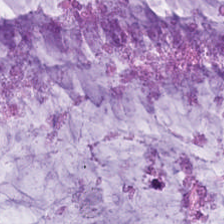H&E stain. Classification: mucus.
